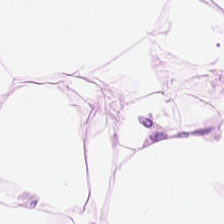H&E-stained tissue section.
Tissue type: adipose tissue.
